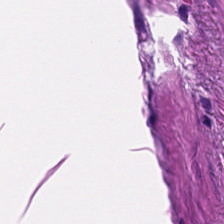224×224 pixel tile · hematoxylin-and-eosin stained section — Finding — smooth muscle.
